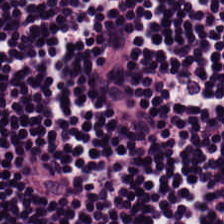Hematoxylin and eosin. Formalin-fixed paraffin-embedded section. 224×224 px patch. {"tissue_type": "lymphocytic infiltrate"}
